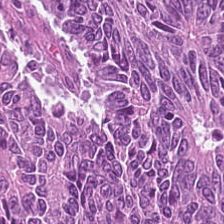Hematoxylin and eosin — Finding → tumor epithelium.
